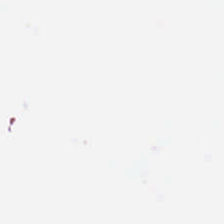Q: What is shown in this field?
A: This is background.
